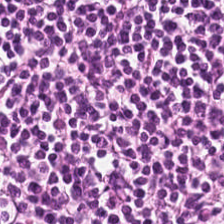224×224 pixel tile. Hematoxylin and eosin.
Tissue = lymphocytes.
